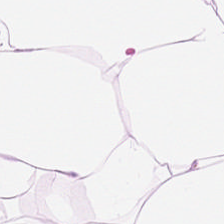Impression — adipose.
